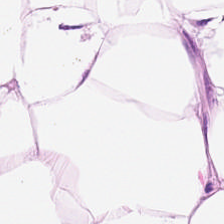FFPE tissue section; hematoxylin and eosin — Predominant tissue = fat tissue.
